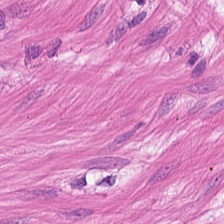Stain: H&E-stained tissue section.
Tissue: smooth muscle.
